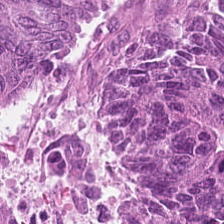224×224 px patch; hematoxylin and eosin.
Predominant tissue = colorectal adenocarcinoma epithelium.
